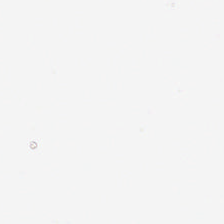H&E-stained tissue section.
Finding → no tissue.
